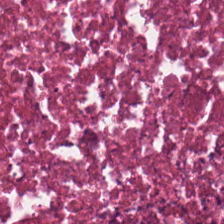Hematoxylin and eosin. This patch shows cellular debris.
